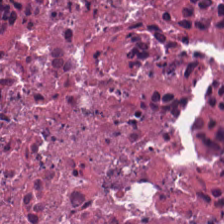Stain: H&E-stained tissue section.
Resolution: 0.5 µm per pixel.
Acquisition: WSI patch.
Tissue type: debris.
